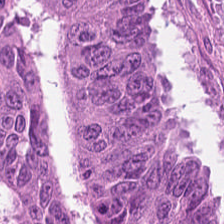FFPE tissue section. H&E stain. Histology — malignant epithelium.
